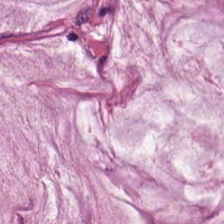Q: What tissue type is shown here?
A: The field shows mucus.
